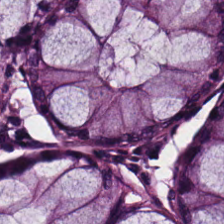H&E stain — The tissue class is normal colonic mucosa.
